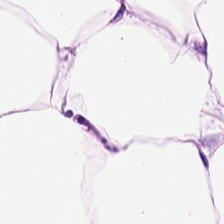H&E-stained tissue section. FFPE tissue section.
Q: What is the predominant tissue type?
A: This is adipose.
